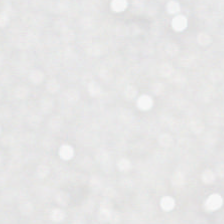Hematoxylin-and-eosin stained section. Q: What is shown in this field?
A: This is no tissue.
